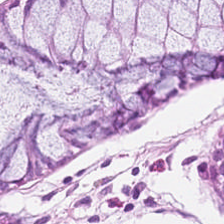Stain: H&E stain.
Tissue: normal colon mucosa.
